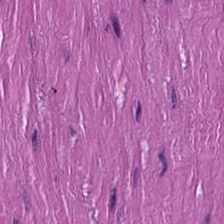Predominantly muscularis.
